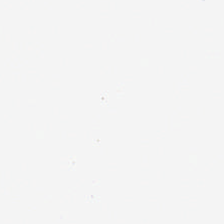This field is background (no tissue).
